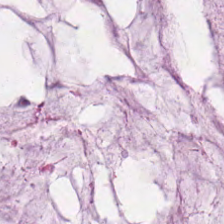Brightfield microscopy · H&E-stained tissue section. Predominant tissue — mucus.
